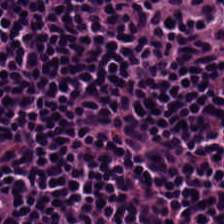Hematoxylin-and-eosin stained section; 0.5 microns per pixel; brightfield — Q: Identify the tissue.
A: It is lymphoid infiltrate.
